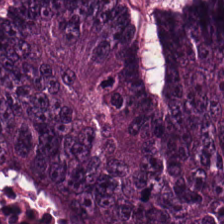H&E.
Colorectal adenocarcinoma.
